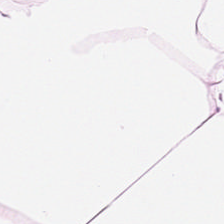Hematoxylin-and-eosin stained section. The predominant tissue is adipose tissue.
